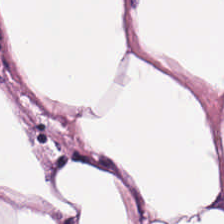Tissue class = adipose tissue.
